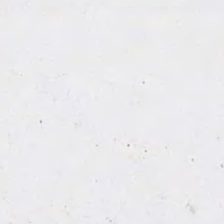H&E stain · brightfield microscopy. Empty field — background (no tissue).
